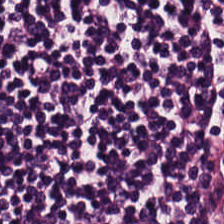H&E-stained section; the field shows lymphocyte aggregate.
